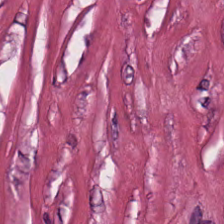20× equivalent magnification · H&E stain · 224×224 pixel tile. The tissue class is cancer-associated stroma.
